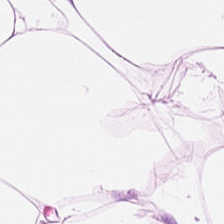H&E-stained tissue section. Predominantly adipose.
